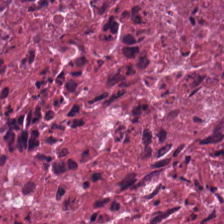Hematoxylin and eosin. FFPE tissue section — Tissue type — debris.
